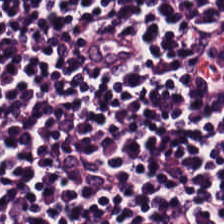Whole-slide-image patch · hematoxylin and eosin — The tissue is lymphocyte aggregate.
